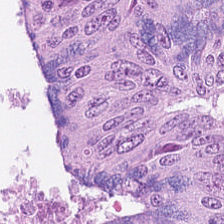Tissue: malignant epithelium.
